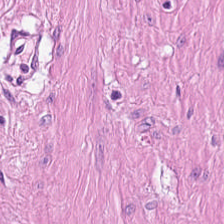{"tissue_type": "smooth-muscle tissue"}
